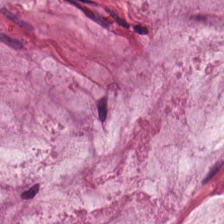WSI patch · formalin-fixed paraffin-embedded section · H&E-stained tissue section — {"tissue_type": "mucus"}
